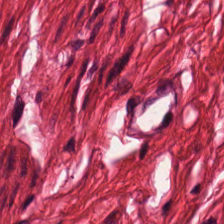The tissue here is muscularis.
